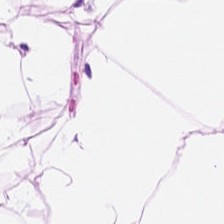Q: What does this patch show?
A: Adipocytes.
